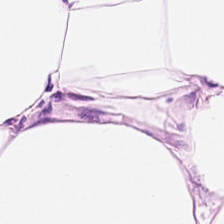Impression → adipocytes.
